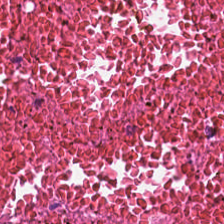Hematoxylin-and-eosin stained section · FFPE — Predominantly necrotic debris.
